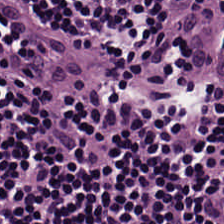Stain: H&E stain.
Predominant tissue: lymphoid infiltrate.
